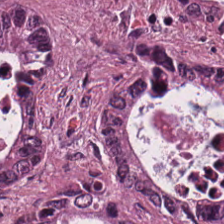0.5 µm/px; FFPE; hematoxylin and eosin. Tissue — tumor epithelium.
